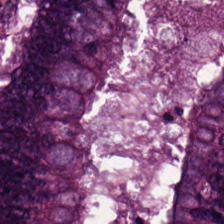Impression → tumor epithelium.
